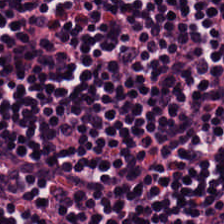H&E-stained tissue section.
This patch shows lymphocytes.
